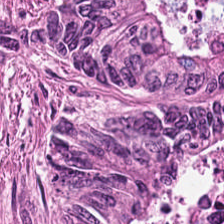H&E-stained tissue section.
Classification: colorectal adenocarcinoma epithelium.
